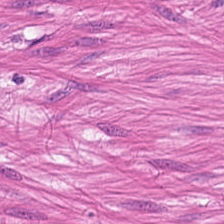Finding — muscularis.
